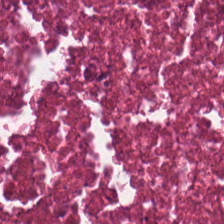Hematoxylin and eosin. 0.5 µm per pixel. The tissue here is debris.
